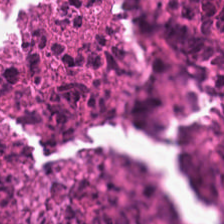Finding — debris.
